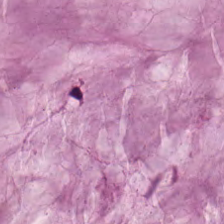Tissue — mucus.
